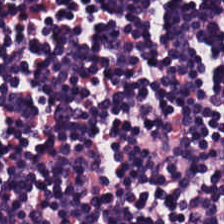Hematoxylin-and-eosin section: lymphoid infiltrate.
